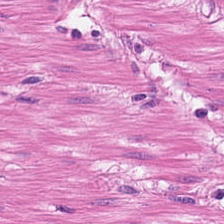H&E stain · 0.5 µm per pixel · formalin-fixed paraffin-embedded section. Predominantly smooth muscle.
